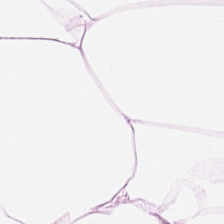H&E — This field is adipose.
